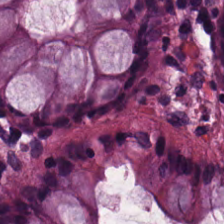0.5 microns per pixel · 224×224 px patch · hematoxylin-and-eosin stained section — The tissue class is benign colonic mucosa.
